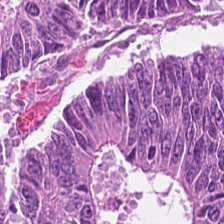224×224 px tile; 20× equivalent magnification; hematoxylin-and-eosin stained section. This field is colorectal adenocarcinoma epithelium.
